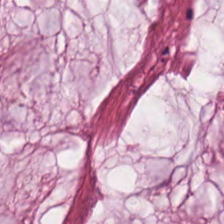Brightfield · H&E-stained tissue section. The tissue here is mucin.
